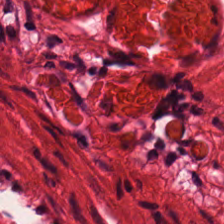Stain: H&E.
Tissue class: smooth muscle.
